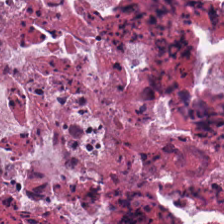Hematoxylin-and-eosin stained section · brightfield microscopy — Showing necrotic debris.
